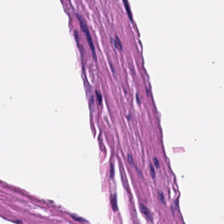Histology — smooth-muscle tissue.
